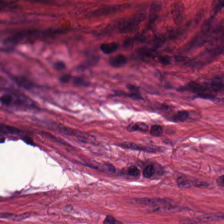Classification = desmoplastic stroma.
